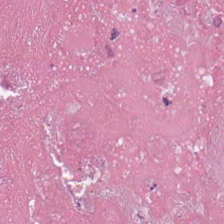Hematoxylin-and-eosin stained section — The predominant tissue is debris.
